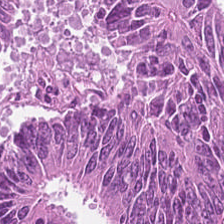H&E stain. Tissue type = colorectal adenocarcinoma epithelium.
